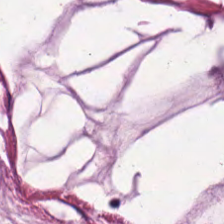H&E stain. 224×224 px patch. Brightfield. Showing mucin.
